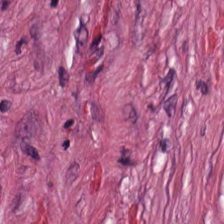Tissue class — cancer-associated stroma.
